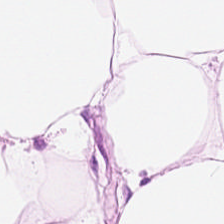H&E-stained tissue section.
Predominantly adipose.
